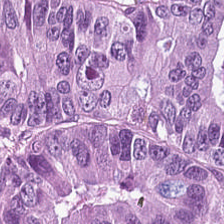20× equivalent magnification. H&E. Showing tumor epithelium.
